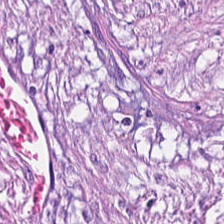224×224 px tile; H&E — Impression — tumor stroma.
